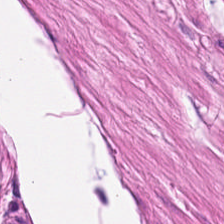Showing smooth muscle.
